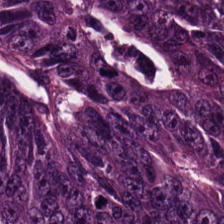{"tissue_type": "colorectal adenocarcinoma"}
